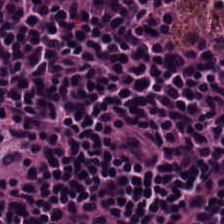FFPE tissue section · hematoxylin and eosin — Q: Classify this patch.
A: This is lymphocyte aggregate.
